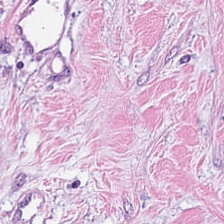H&E-stained tissue section. Tissue class: tumor-associated stroma.
